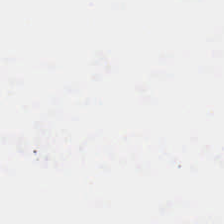Stain: hematoxylin-and-eosin stained section.
Field content: background.
